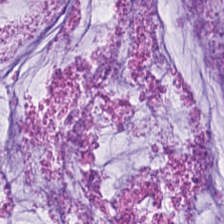Showing extracellular mucin.
